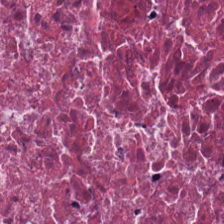H&E; 224×224 px tile. Q: Identify the tissue.
A: This is cellular debris.
